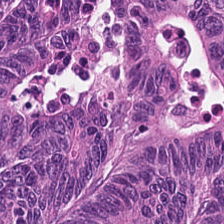Hematoxylin and eosin · FFPE tissue section · 20× equivalent magnification. Finding — tumor epithelium.
